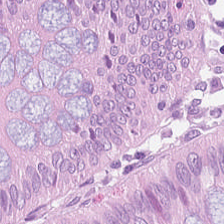H&E-stained tissue section. Whole-slide-image patch — Tissue = benign colonic mucosa.
